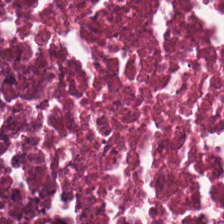Histology — debris.
